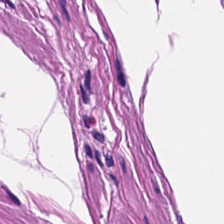Brightfield; hematoxylin and eosin.
Muscularis.
